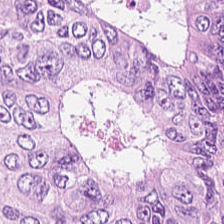Hematoxylin and eosin — {"tissue_type": "tumor epithelium"}
